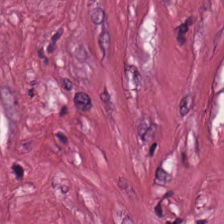H&E stain · FFPE tissue section · 224×224 px patch.
Q: What is the predominant tissue type?
A: Cancer-associated stroma.
